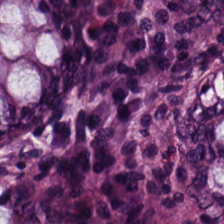H&E; 224×224 pixel tile; 0.5 microns per pixel — Q: What is the predominant tissue type?
A: This is normal colonic mucosa.
